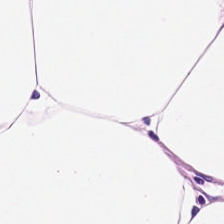H&E-stained tissue section.
Finding → adipose.
